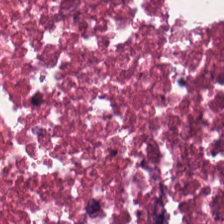Hematoxylin-and-eosin stained section. This patch shows debris.
